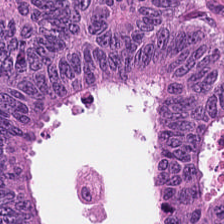Predominantly colorectal adenocarcinoma.
